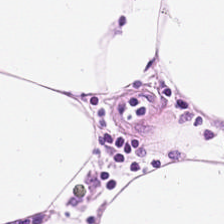Q: What is the predominant tissue type?
A: This is adipose tissue.
